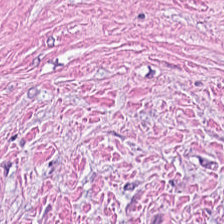{"tissue_type": "desmoplastic stroma"}
